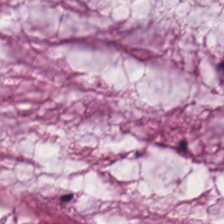Tissue class: mucin.
